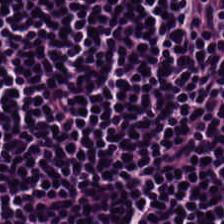Stain: H&E stain.
Acquisition: whole-slide-image patch.
Tissue: lymphocyte aggregate.
